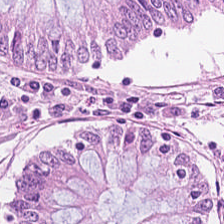FFPE tissue section · 0.5 µm/px · H&E-stained tissue section — This field is non-neoplastic colon mucosa.
